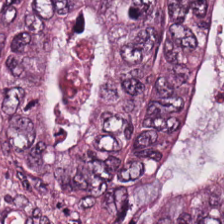Hematoxylin and eosin. 224×224 px tile. FFPE tissue section.
Tissue type — colorectal adenocarcinoma epithelium.
